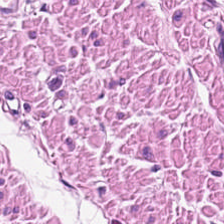Stain: hematoxylin-and-eosin stained section.
Acquisition: brightfield microscopy.
Tile size: 224×224 pixel tile.
Classification: smooth muscle.
